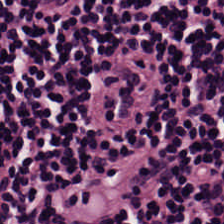H&E · whole-slide-image patch. Tissue class: lymphocytic infiltrate.
